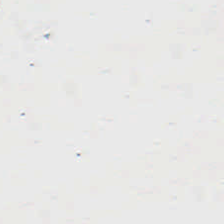H&E stain.
Impression → background.
